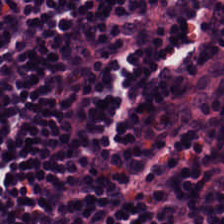Formalin-fixed paraffin-embedded section · H&E stain.
This patch shows lymphocyte aggregate.
